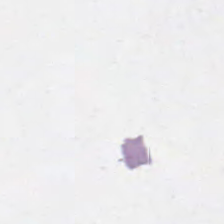This field is background (no tissue).
